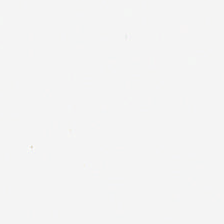H&E · 0.5 microns per pixel · brightfield. No tissue present; background only.
